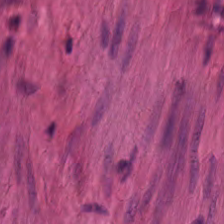H&E-stained tissue section. Q: Identify the tissue.
A: This is smooth-muscle tissue.
